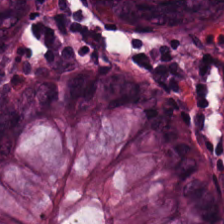H&E-stained tissue section.
Showing non-neoplastic colon mucosa.
